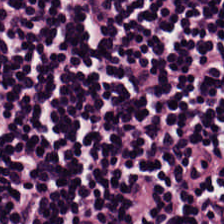Histology — lymphocytic infiltrate.
